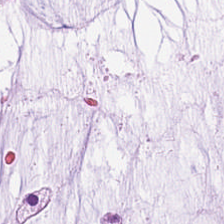Hematoxylin-and-eosin stained section.
Predominantly mucus.
